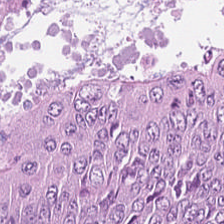Hematoxylin-and-eosin stained section; 224×224 px tile; 0.5 µm/px.
The tissue class is adenocarcinoma.
